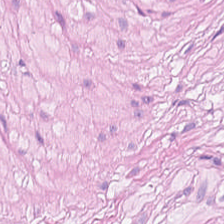Stain: hematoxylin-and-eosin stained section.
Resolution: 0.5 microns per pixel.
Classification: smooth muscle.
